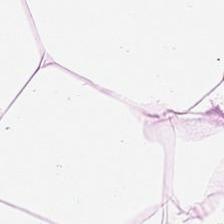224×224 px tile. H&E stain.
The tissue here is adipocytes.
